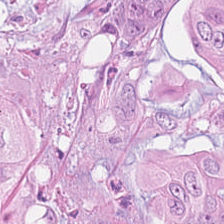Hematoxylin and eosin — This patch shows adenocarcinoma.
